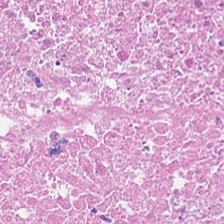Predominantly necrotic debris.
